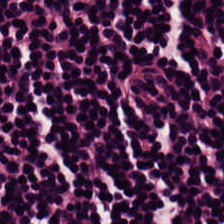Histology → lymphocyte aggregate.
